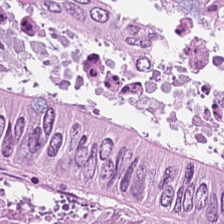Hematoxylin-and-eosin stained section; whole-slide-image patch.
The predominant tissue is colorectal adenocarcinoma.
